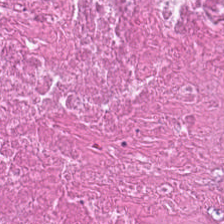Classification: necrotic debris.
